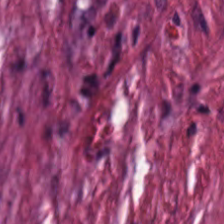Hematoxylin-and-eosin stained section; whole-slide-image patch.
The predominant tissue is cancer-associated stroma.
